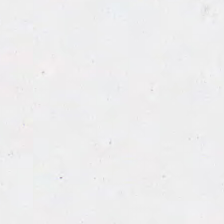Hematoxylin and eosin. Q: What is shown here?
A: This is background (no tissue).
